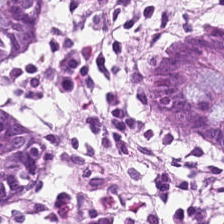224×224 pixel tile. 0.5 µm per pixel. H&E. Showing normal colonic mucosa.
